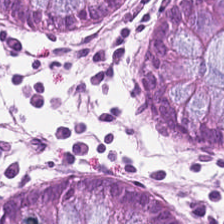H&E — Predominant tissue — benign colonic mucosa.
